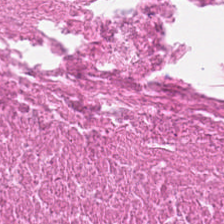0.5 µm/px; H&E — This patch shows cellular debris.
